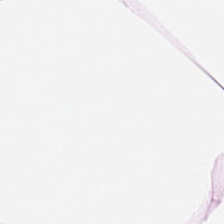The tissue is adipose.
